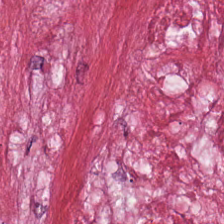Hematoxylin-and-eosin stained section.
Impression → cancer-associated stroma.
